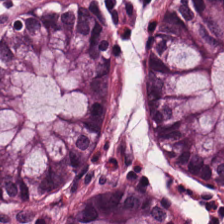The classification is benign colonic mucosa.
